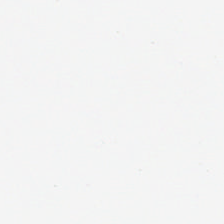The content is empty background.
